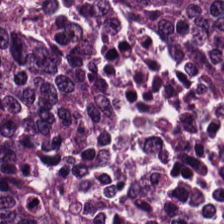H&E-stained tissue section. Q: What does this patch show?
A: It is colorectal adenocarcinoma.
